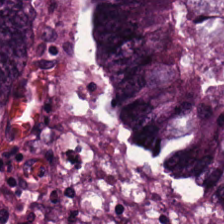Stain: hematoxylin and eosin.
Classification: colorectal adenocarcinoma epithelium.
